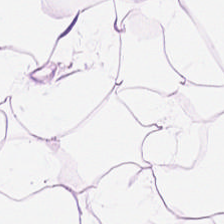H&E-stained tissue section. The tissue here is adipocytes.
